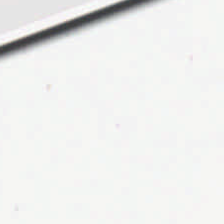Content — empty background.
